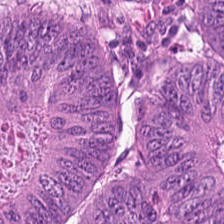Tissue class: colorectal adenocarcinoma epithelium.
